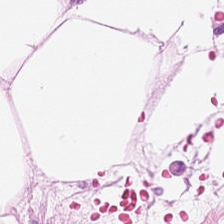224×224 pixel tile; hematoxylin and eosin. The tissue is adipose tissue.
